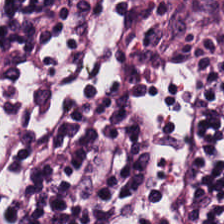Stain: H&E stain.
Predominant tissue: lymphocytic infiltrate.
